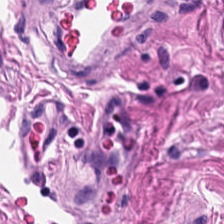H&E. Predominantly muscularis.
